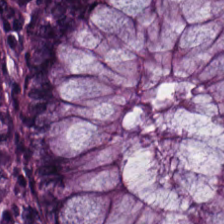Tissue class — non-neoplastic colon mucosa.
